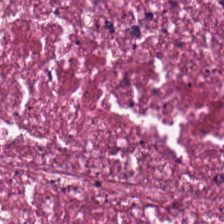Classification — necrotic debris.
